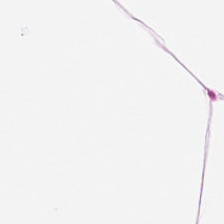Stain: H&E stain.
Tissue class: fat tissue.
